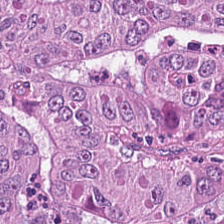Stain: H&E stain.
Tissue: malignant epithelium.
